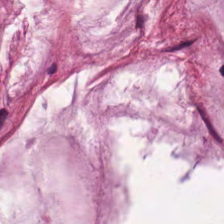Stain: hematoxylin and eosin.
Tile size: 224×224 px patch.
Tissue type: extracellular mucin.
